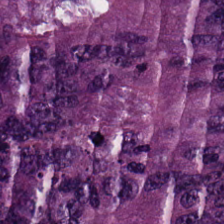Hematoxylin-and-eosin section: malignant epithelium.
